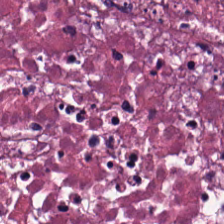Stain: H&E stain.
Tissue: cellular debris.
